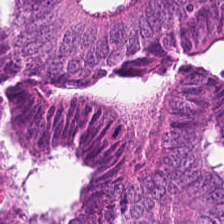The tissue here is colorectal adenocarcinoma epithelium.
